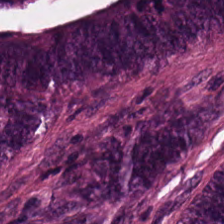Stain: hematoxylin and eosin.
Acquisition: WSI patch.
Tile size: 224×224 px tile.
Tissue: adenocarcinoma.
